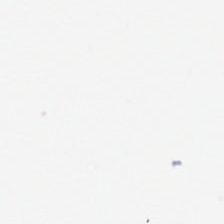H&E-stained tissue section.
Empty field — empty background.
